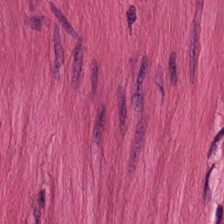This field is muscularis.
